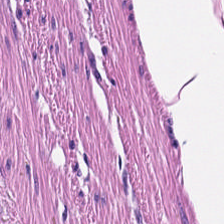Stain: H&E.
Predominant tissue: smooth-muscle tissue.
